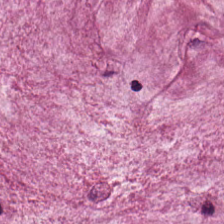H&E. Impression → extracellular mucin.
